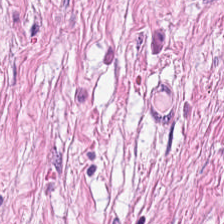H&E-stained tissue section — Predominantly tumor-associated stroma.
